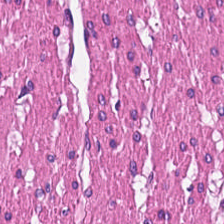Stain: hematoxylin-and-eosin stained section.
Tissue type: muscularis.
